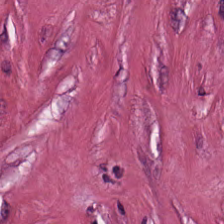224×224 px tile; hematoxylin-and-eosin stained section; 0.5 µm per pixel.
Showing tumor stroma.
